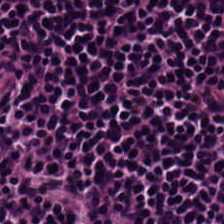H&E-stained tissue section.
Predominantly lymphocyte aggregate.
